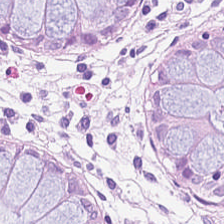H&E stain. Brightfield. Formalin-fixed paraffin-embedded section — The predominant tissue is non-neoplastic colon mucosa.
